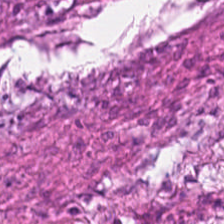Impression → cancer-associated stroma.
